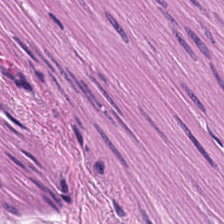H&E. This patch shows smooth muscle.
